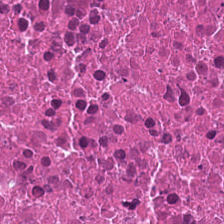H&E-stained tissue section. Tissue: debris.
